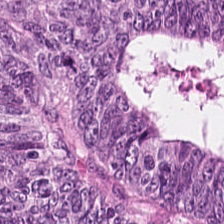FFPE · H&E stain — {"tissue_type": "adenocarcinoma"}
